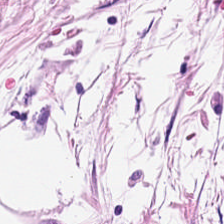Hematoxylin and eosin.
This patch shows adipose.
